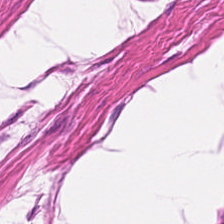Hematoxylin and eosin — Classification: muscularis.
